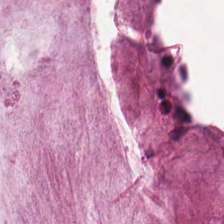Hematoxylin and eosin.
Mucus.
